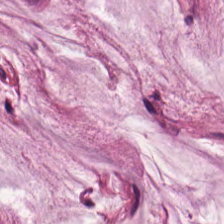Hematoxylin and eosin; whole-slide-image patch. Predominant tissue — mucus.
